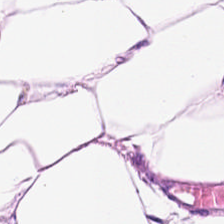H&E patch showing adipocytes.
